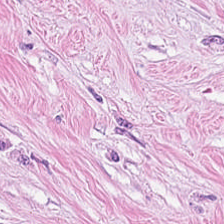H&E-stained tissue section. The predominant tissue is tumor stroma.
